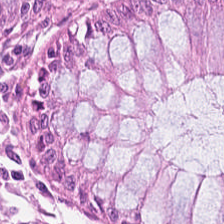0.5 µm per pixel · H&E · FFPE — Finding → non-neoplastic colon mucosa.
